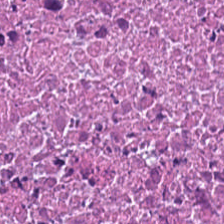Hematoxylin-and-eosin stained section. The tissue type is necrotic debris.
